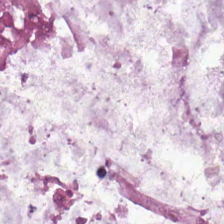Hematoxylin and eosin. Mucus.
